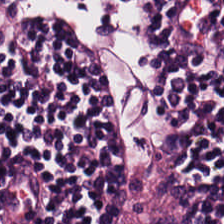Formalin-fixed paraffin-embedded section · H&E. Lymphocytes.
